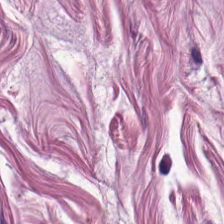Stain: H&E-stained tissue section.
Tissue class: smooth muscle.
